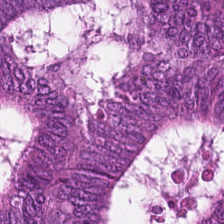H&E-stained tissue section. Finding → colorectal adenocarcinoma epithelium.
